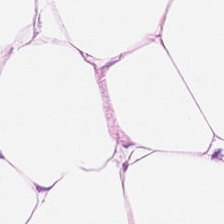Formalin-fixed paraffin-embedded section. Brightfield. Hematoxylin-and-eosin stained section — The predominant tissue is adipocytes.
